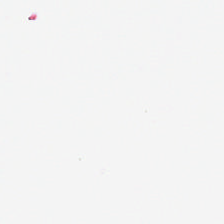Hematoxylin-and-eosin stained section; 0.5 µm/px; whole-slide-image patch.
No tissue present; background only.
